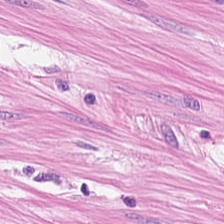Whole-slide-image patch; H&E-stained tissue section. Finding → smooth muscle.
